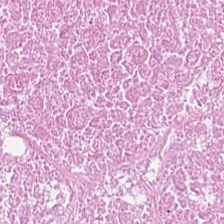H&E. This field is debris.
